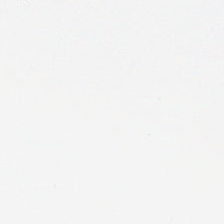Formalin-fixed paraffin-embedded section · 224×224 px tile · hematoxylin-and-eosin stained section. Classification — background (no tissue).
